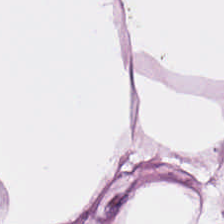H&E — Adipocytes.
